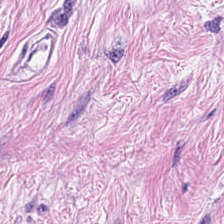The predominant tissue is cancer-associated stroma.
